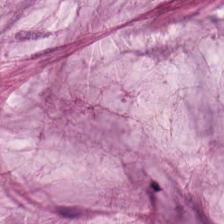Whole-slide-image patch. Hematoxylin-and-eosin stained section. 20× equivalent magnification — The tissue type is mucin.
